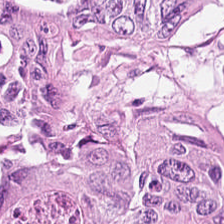Impression → malignant epithelium.
